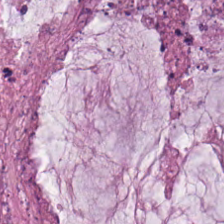H&E; 20× equivalent magnification — Histology → mucin.
